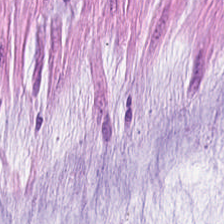Finding → mucin.
